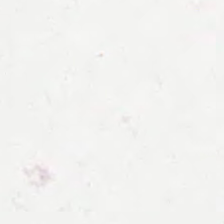224×224 px tile. Hematoxylin and eosin — Content: background (no tissue).
